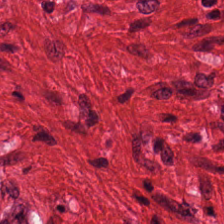Hematoxylin-and-eosin stained section. 0.5 µm/px — Smooth muscle.
